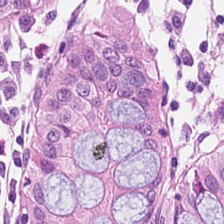FFPE; H&E.
Histology → normal colonic mucosa.
